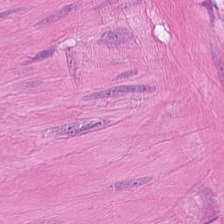Stain: H&E-stained tissue section.
Tissue: smooth muscle.
